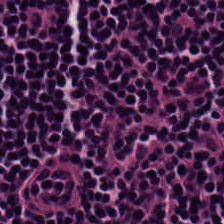H&E stain. This field is lymphocytic infiltrate.
